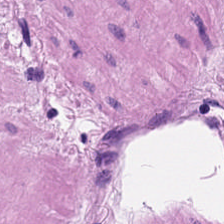H&E stain.
Showing smooth muscle.
